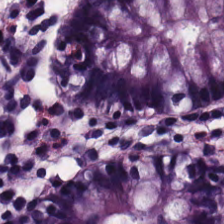Hematoxylin-and-eosin stained section. Q: What type of tissue is this?
A: The field shows non-neoplastic colon mucosa.
